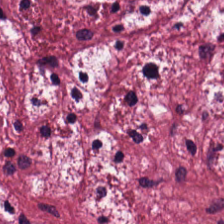224×224 px tile. Hematoxylin-and-eosin stained section. Classification: tumor stroma.
